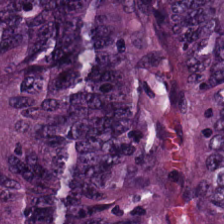H&E stain; FFPE.
Impression → adenocarcinoma.
